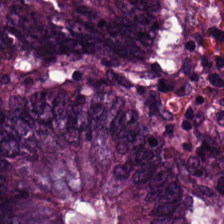Stain: H&E stain.
Preparation: FFPE.
Tissue class: tumor epithelium.
